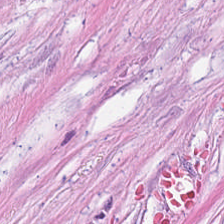WSI patch. Formalin-fixed paraffin-embedded section. H&E stain.
The tissue here is tumor stroma.
